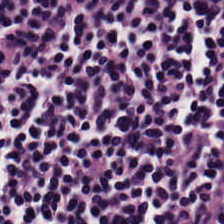Stain: H&E-stained tissue section.
Tissue class: lymphocytic infiltrate.
